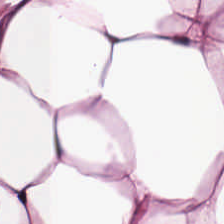Q: What is shown here?
A: Adipose.
